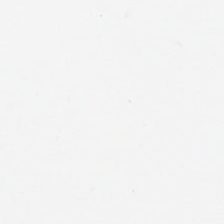0.5 µm per pixel; 224×224 px patch; H&E. Classification = background (no tissue).
